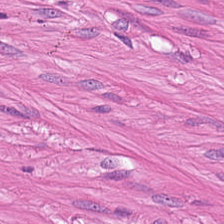H&E · FFPE. This field is muscularis.
